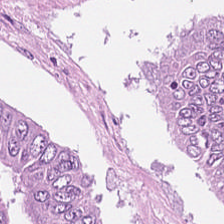Hematoxylin and eosin. 224×224 pixel tile — Impression — tumor epithelium.
